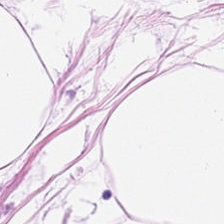H&E-stained tissue section. Formalin-fixed paraffin-embedded section.
{"tissue_type": "fat tissue"}
